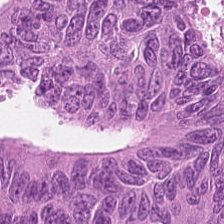Hematoxylin-and-eosin stained section — Q: What is the predominant tissue type?
A: This is tumor epithelium.
